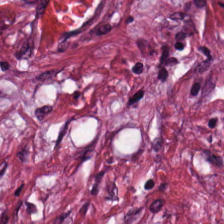Hematoxylin and eosin.
Predominant tissue — cancer-associated stroma.
